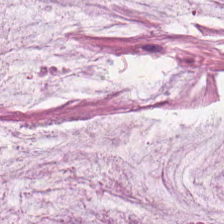0.5 µm per pixel; H&E; 224×224 px tile — This patch shows mucin.
